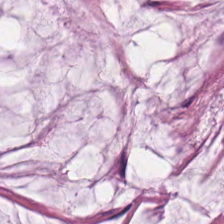H&E-stained tissue section.
The predominant tissue is mucin.
